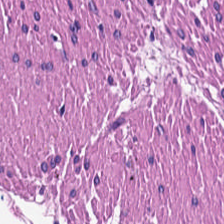Hematoxylin and eosin — Showing muscularis.
